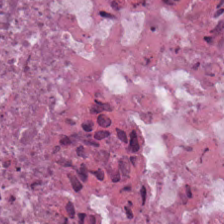Stain: H&E stain.
Predominant tissue: cellular debris.
